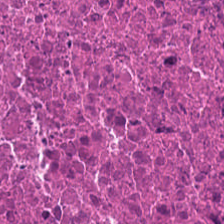224×224 pixel tile · 20× equivalent magnification · hematoxylin and eosin. This field is debris.
